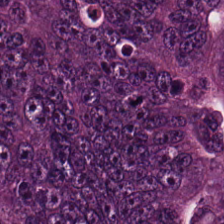{"tissue_type": "tumor epithelium"}
